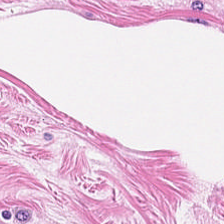Hematoxylin-and-eosin stained section — Q: Identify the tissue.
A: This is smooth-muscle tissue.
